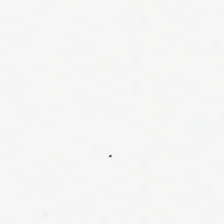H&E. Empty field — background.
